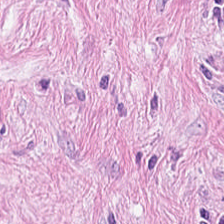H&E stain.
This patch shows cancer-associated stroma.
